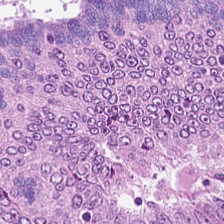H&E-stained tissue section showing colorectal adenocarcinoma.
